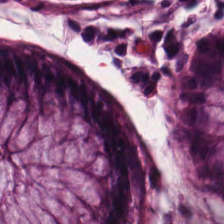H&E; brightfield — Predominant tissue = benign colonic mucosa.
